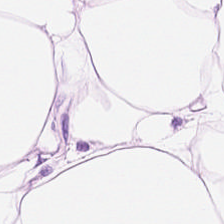Stain: H&E-stained tissue section.
Resolution: 20× equivalent magnification.
Tissue: adipose.
